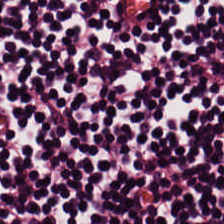Hematoxylin-and-eosin stained section.
Q: What type of tissue is this?
A: Lymphocytes.
